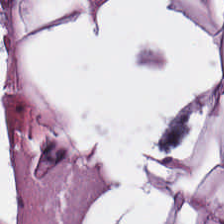WSI patch · 0.5 µm per pixel · H&E-stained tissue section — Tissue class = adipose tissue.
